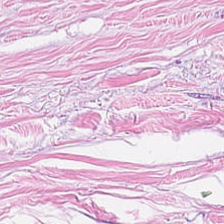Stain: hematoxylin and eosin.
Preparation: FFPE.
Tile size: 224×224 px tile.
Tissue: tumor-associated stroma.
